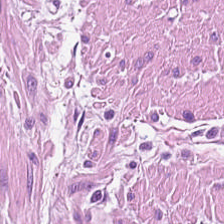Hematoxylin-and-eosin section: smooth-muscle tissue.
